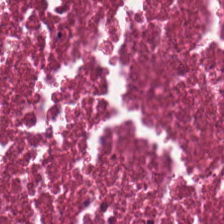Classification = debris.
